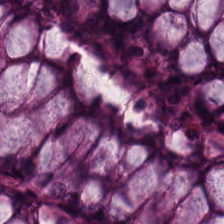H&E-stained tissue section.
{"tissue_type": "normal colonic mucosa"}
